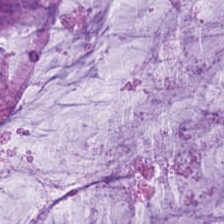Hematoxylin-and-eosin stained section — Tissue = mucin.
